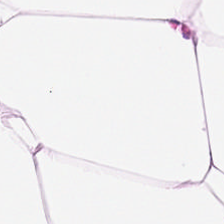Hematoxylin-and-eosin section: fat tissue.
